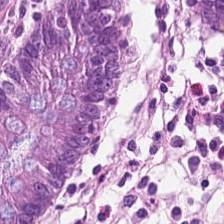H&E stain. 0.5 µm per pixel.
This field is benign colonic mucosa.
